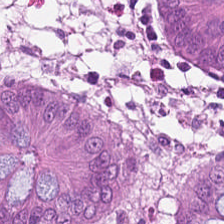H&E stain; FFPE — Q: What type of tissue is this?
A: The field shows normal colon mucosa.
